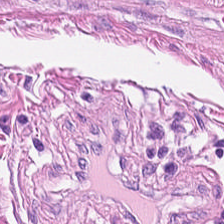Formalin-fixed paraffin-embedded section; H&E-stained tissue section; 0.5 µm per pixel — Predominantly muscularis.
